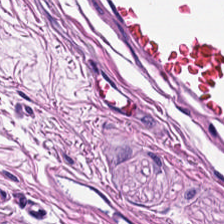0.5 microns per pixel. H&E-stained tissue section. Q: What is the predominant tissue type?
A: Smooth-muscle tissue.
